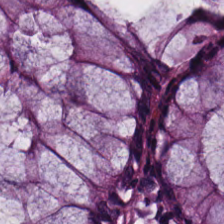0.5 µm per pixel. H&E stain. Whole-slide-image patch. Q: What does this patch show?
A: This is normal colonic mucosa.
